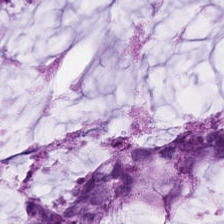H&E-stained tissue section; FFPE tissue section. Histology — extracellular mucin.
